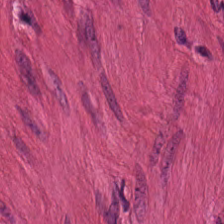H&E. This patch shows smooth-muscle tissue.
